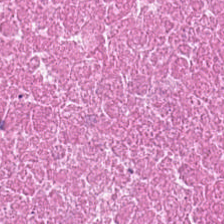The tissue is debris.
